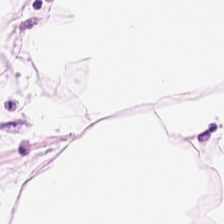H&E-stained tissue section.
Tissue = adipose tissue.
